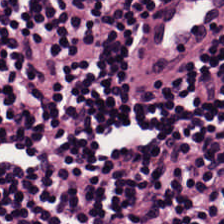Stain: H&E stain.
Tissue class: lymphoid infiltrate.
